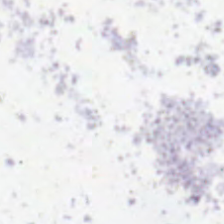Stain: hematoxylin and eosin.
Content: background (no tissue).
